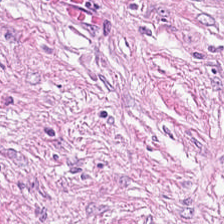Brightfield · hematoxylin-and-eosin stained section. The classification is tumor stroma.
